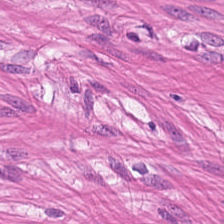Tissue class — smooth muscle.
